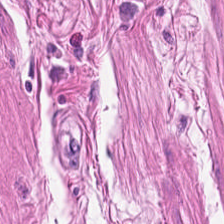0.5 microns per pixel · FFPE tissue section · hematoxylin-and-eosin stained section — Tissue class = muscularis.
